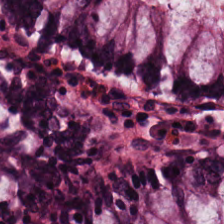H&E stain. This field is normal colonic mucosa.
